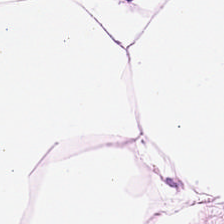H&E-stained section; the field shows adipose.
